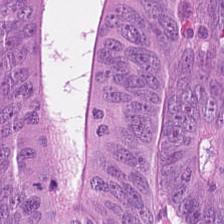Q: What tissue type is shown here?
A: Colorectal adenocarcinoma epithelium.
